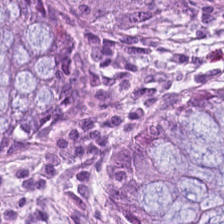Tissue type: normal colonic mucosa.
